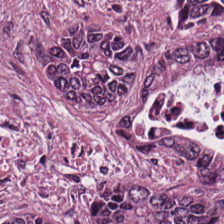Classification = malignant epithelium.
